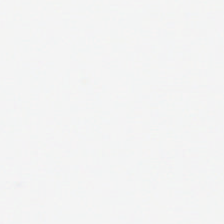224×224 pixel tile; H&E stain. Classification: background.
